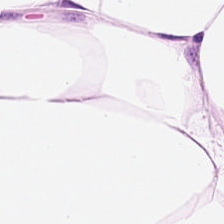Hematoxylin-and-eosin stained section; formalin-fixed paraffin-embedded section. Fat tissue.
